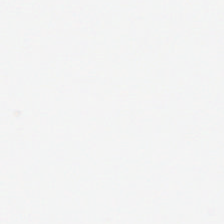FFPE tissue section. H&E stain.
No tissue present; background only.
